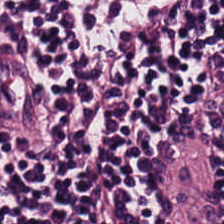224×224 px patch; hematoxylin and eosin — The classification is lymphocytes.
